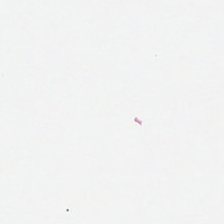No tissue present; background only.
